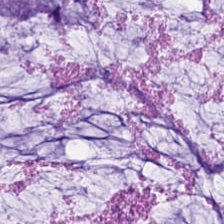H&E stain. Showing mucin.
